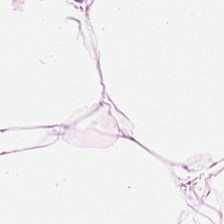Hematoxylin-and-eosin stained section. FFPE tissue section. 224×224 px patch.
Predominant tissue = adipose tissue.
